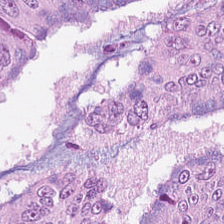Tissue = colorectal adenocarcinoma epithelium.
